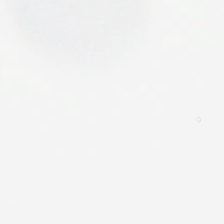Finding — empty background.
